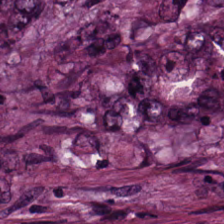Stain: H&E-stained tissue section.
Tile size: 224×224 px patch.
Predominant tissue: adenocarcinoma.
